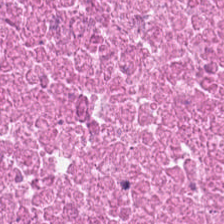H&E.
Predominantly necrotic debris.
